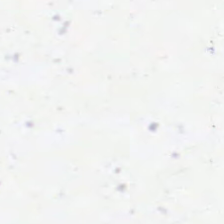H&E.
Empty field — background (no tissue).
